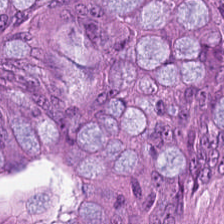Hematoxylin-and-eosin stained section.
Predominantly tumor epithelium.
